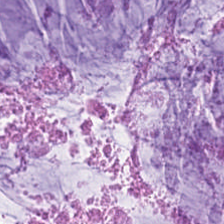Predominantly mucus.
